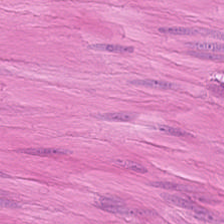H&E stain · formalin-fixed paraffin-embedded section · 0.5 µm per pixel.
Q: What is the predominant tissue type?
A: This is smooth muscle.
